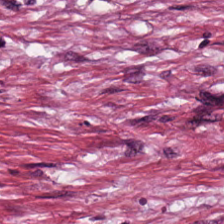H&E. FFPE tissue section. Brightfield microscopy — Classification: cancer-associated stroma.
